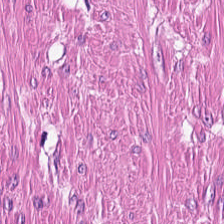H&E-stained tissue section.
Muscularis.
